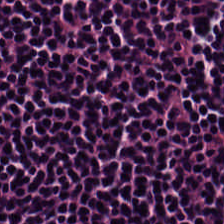H&E · brightfield microscopy. This patch shows lymphocytes.
